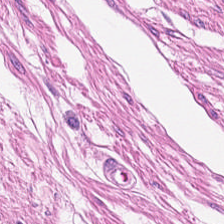Hematoxylin-and-eosin stained section · brightfield microscopy · 20× equivalent magnification. Muscularis.
